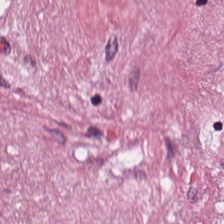Hematoxylin-and-eosin section: cancer-associated stroma.
